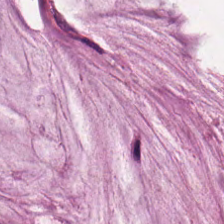Hematoxylin-and-eosin stained section.
Classification = mucus.
